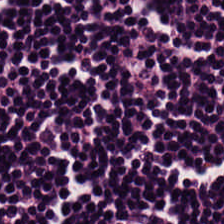Q: Identify the tissue.
A: The field shows lymphocytes.
